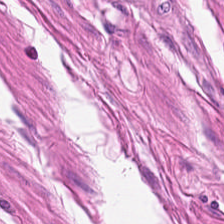Stain: hematoxylin and eosin.
Tissue: smooth-muscle tissue.
